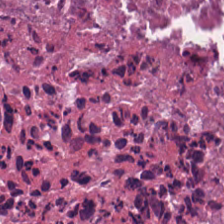FFPE; hematoxylin and eosin.
The predominant tissue is cellular debris.
